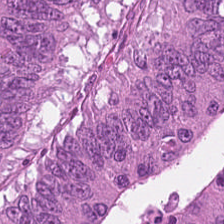Hematoxylin and eosin. 224×224 px tile. WSI patch — This field is malignant epithelium.
